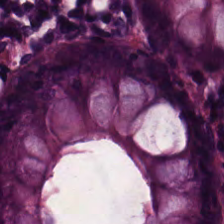Predominantly normal colon mucosa.
